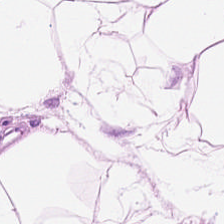20× equivalent magnification · whole-slide-image patch · H&E stain — Q: What does this patch show?
A: This is adipose.
